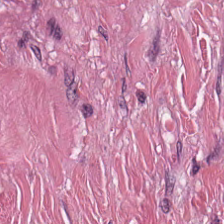0.5 µm per pixel. H&E stain.
Showing cancer-associated stroma.
